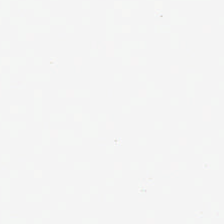WSI patch · 0.5 µm per pixel · H&E. No tissue present; background only.
